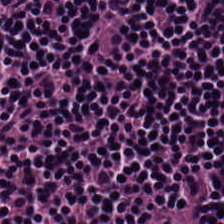Hematoxylin-and-eosin stained section — Impression → lymphocytic infiltrate.
